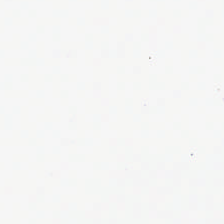Hematoxylin-and-eosin stained section.
Empty field — empty background.
